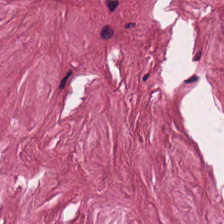Hematoxylin and eosin — Tissue type = desmoplastic stroma.
